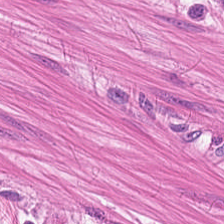Stain: H&E stain.
Tile size: 224×224 px patch.
Tissue: smooth muscle.
